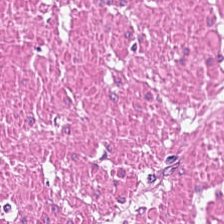H&E.
{"tissue_type": "smooth-muscle tissue"}
